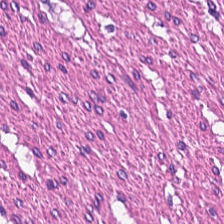Q: What type of tissue is this?
A: It is muscularis.
